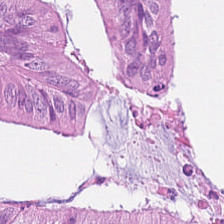H&E-stained tissue section showing colorectal adenocarcinoma.
